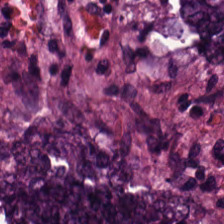This field is colorectal adenocarcinoma epithelium.
